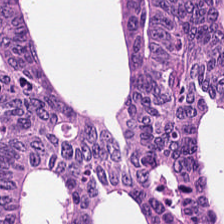H&E stain; FFPE tissue section; WSI patch — Histology — tumor epithelium.
